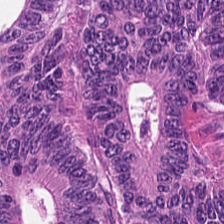0.5 microns per pixel · H&E stain. {"tissue_type": "adenocarcinoma"}
